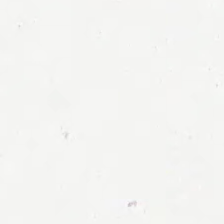Content: no tissue.
